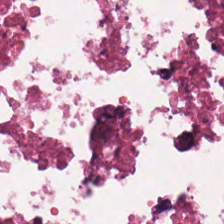Hematoxylin-and-eosin stained section.
Finding — cellular debris.
